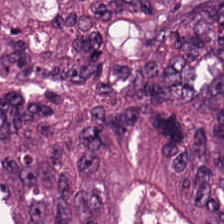H&E-stained tissue section.
The predominant tissue is tumor epithelium.
